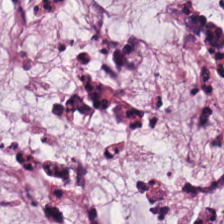Q: What is shown in this field?
A: The field shows extracellular mucin.
